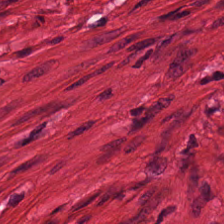H&E-stained tissue section. Histology → smooth-muscle tissue.
